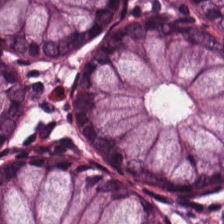Tissue class — normal colonic mucosa.
